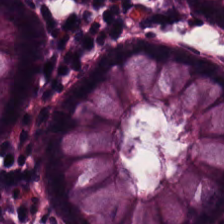Hematoxylin-and-eosin stained section. {"tissue_type": "benign colonic mucosa"}
